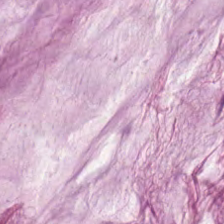H&E stain; 224×224 px tile.
{"tissue_type": "extracellular mucin"}
